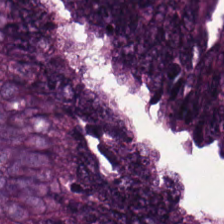H&E.
Q: What tissue is shown?
A: This is adenocarcinoma.
